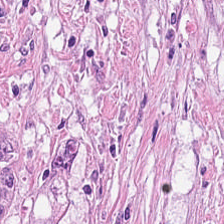Stain: hematoxylin-and-eosin stained section.
Tissue class: tumor stroma.
